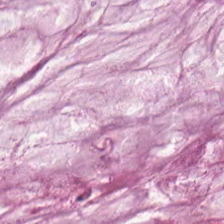Hematoxylin-and-eosin stained section.
Predominant tissue: extracellular mucin.
